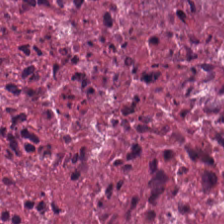0.5 µm/px · H&E stain · 224×224 pixel tile. Classification — necrotic debris.
